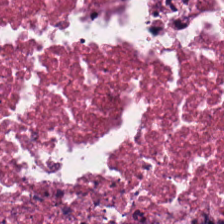H&E-stained tissue section — Debris.
